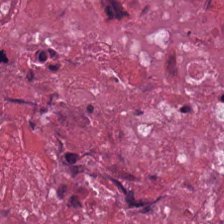H&E.
Q: What tissue is shown?
A: This is cellular debris.
